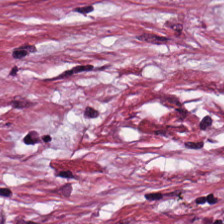H&E — The classification is cancer-associated stroma.
